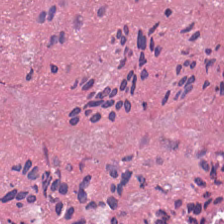Histology — necrotic debris.
